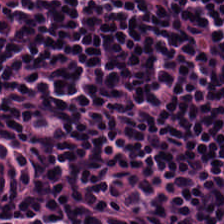Stain: H&E-stained tissue section.
Tile size: 224×224 px tile.
Preparation: FFPE.
Classification: lymphocyte aggregate.
